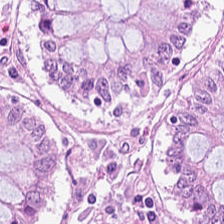Hematoxylin-and-eosin stained section. Showing normal colon mucosa.
